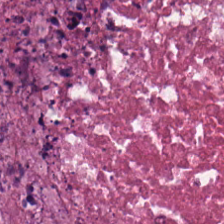H&E — Q: Classify this patch.
A: The field shows debris.
